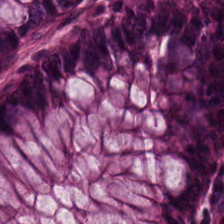H&E-stained tissue section.
This patch shows benign colonic mucosa.
